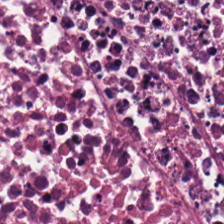H&E-stained tissue section.
{"tissue_type": "debris"}
